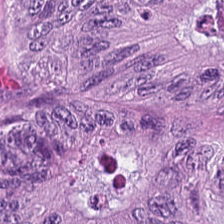The tissue type is adenocarcinoma.
